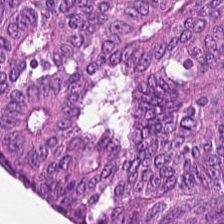Q: What type of tissue is this?
A: The field shows adenocarcinoma.
